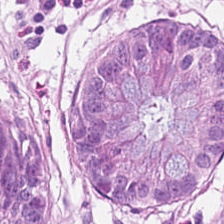FFPE tissue section · H&E stain. The classification is normal colonic mucosa.
